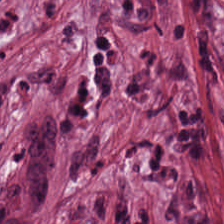Tissue class — desmoplastic stroma.
